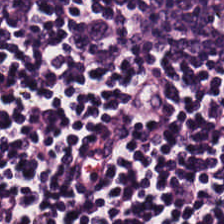H&E-stained tissue section; 224×224 pixel tile. Q: What is shown here?
A: It is lymphoid infiltrate.
